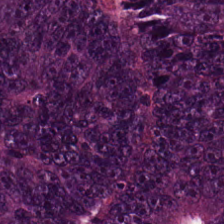Hematoxylin and eosin. {"tissue_type": "adenocarcinoma"}
